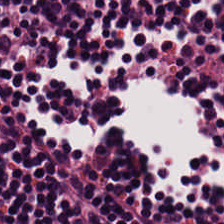FFPE; H&E stain.
Q: Identify the tissue.
A: It is lymphocytes.
